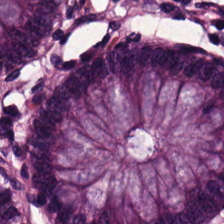Whole-slide-image patch. H&E. 0.5 microns per pixel — Q: What does this patch show?
A: Benign colonic mucosa.
